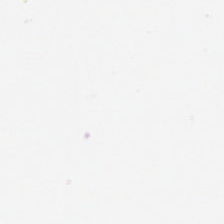Finding — empty background.
